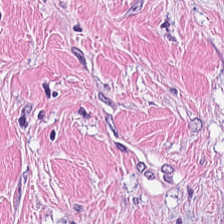Hematoxylin-and-eosin stained section. Tissue — desmoplastic stroma.
